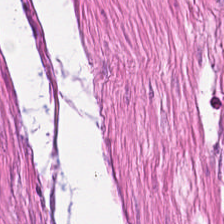Stain: hematoxylin-and-eosin stained section.
Acquisition: whole-slide-image patch.
Classification: smooth-muscle tissue.
